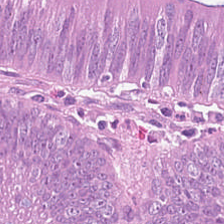Stain: hematoxylin-and-eosin stained section.
Classification: colorectal adenocarcinoma.
